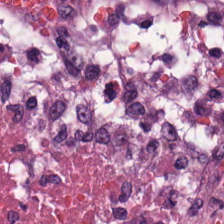H&E stain.
Classification = cellular debris.
